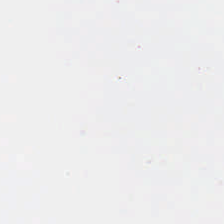H&E. 224×224 px patch. 0.5 µm per pixel.
{"content": "background (no tissue)"}
